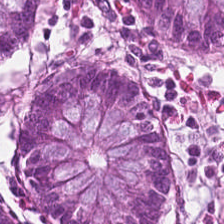Stain: H&E stain.
Tissue class: non-neoplastic colon mucosa.
